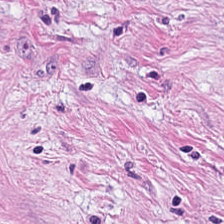H&E-stained tissue section.
Q: What does this patch show?
A: The field shows tumor-associated stroma.
